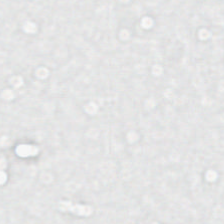224×224 px patch; H&E stain.
{"content": "empty background"}
